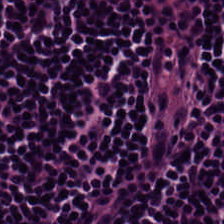Hematoxylin and eosin. Classification = lymphocytic infiltrate.
